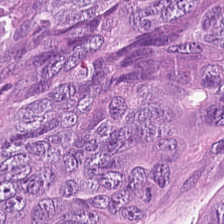Hematoxylin-and-eosin stained section; brightfield microscopy. Predominantly colorectal adenocarcinoma epithelium.
